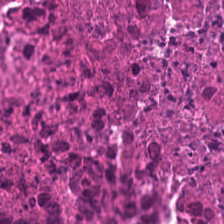Stain: H&E stain.
Acquisition: whole-slide-image patch.
Tissue: cellular debris.
